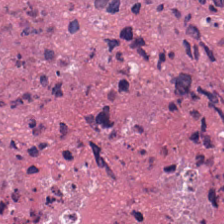H&E.
The tissue class is debris.
